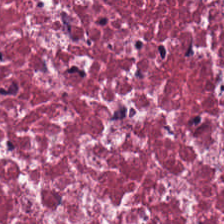H&E. Tissue type — desmoplastic stroma.
